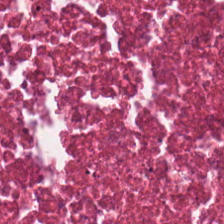0.5 µm/px. H&E stain — Q: Identify the tissue.
A: Debris.
